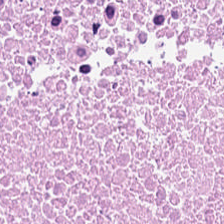Stain: H&E stain.
Tissue: debris.
